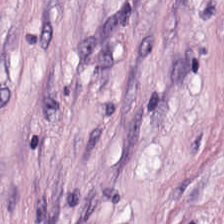H&E-stained tissue section. Histology — cancer-associated stroma.
